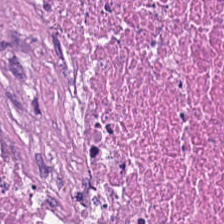Formalin-fixed paraffin-embedded section · brightfield · H&E-stained tissue section. Predominant tissue = cellular debris.
